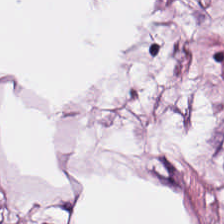H&E · brightfield microscopy. {"tissue_type": "adipocytes"}
